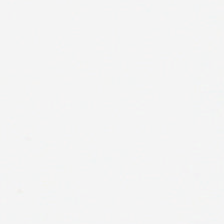Stain: H&E.
Content: no tissue.
